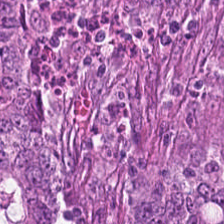0.5 microns per pixel; H&E stain. Q: Classify this patch.
A: This is malignant epithelium.
